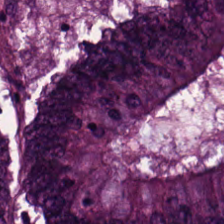H&E-stained tissue section — Histology → malignant epithelium.
